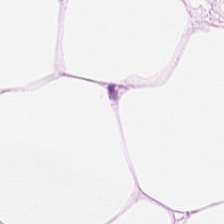H&E-stained tissue section.
This field is fat tissue.
